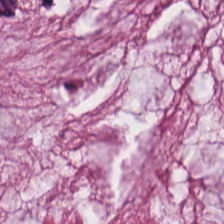Stain: hematoxylin-and-eosin stained section.
Acquisition: brightfield.
Predominant tissue: extracellular mucin.
